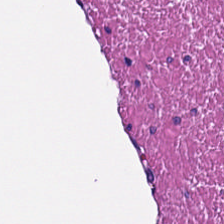Impression — smooth-muscle tissue.
